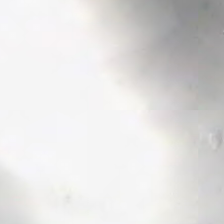Hematoxylin and eosin. Q: What does this patch show?
A: Background.
